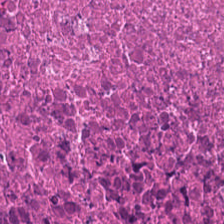Hematoxylin-and-eosin stained section — Tissue: debris.
